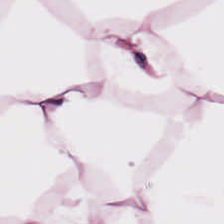Histology — adipose.
